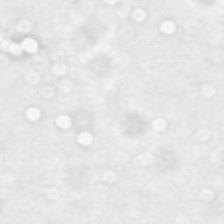FFPE · H&E-stained tissue section.
No tissue present; background only.
